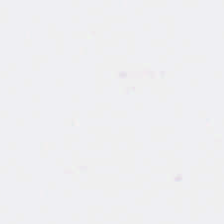Field content — no tissue.
